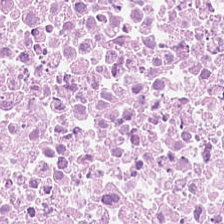Brightfield. 0.5 µm/px. Hematoxylin and eosin.
The tissue here is necrotic debris.
